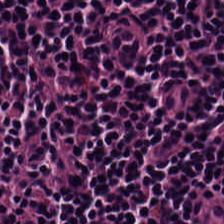H&E.
Tissue: lymphocytes.
